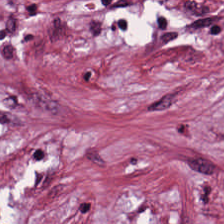H&E stain. 0.5 microns per pixel — Histology — cancer-associated stroma.
